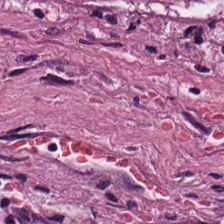H&E-stained tissue section. Tissue type = tumor stroma.
